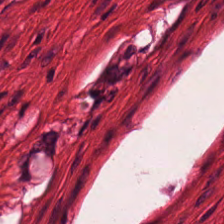224×224 px tile; H&E stain; FFPE tissue section. Muscularis.
